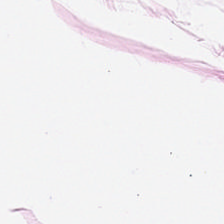Classification — adipose tissue.
